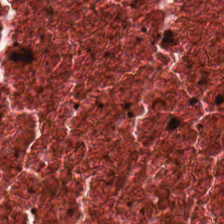0.5 µm/px. Hematoxylin-and-eosin stained section. FFPE. The predominant tissue is debris.
